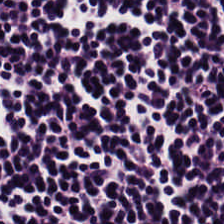Whole-slide-image patch. Hematoxylin-and-eosin stained section. This field is lymphocytic infiltrate.
